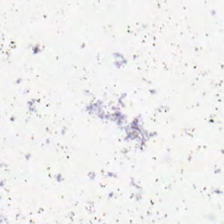Stain: hematoxylin-and-eosin stained section.
Resolution: 20× equivalent magnification.
Acquisition: brightfield microscopy.
Field content: no tissue.
